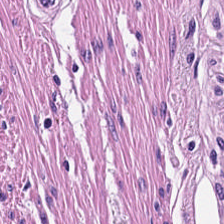H&E.
Showing smooth-muscle tissue.
